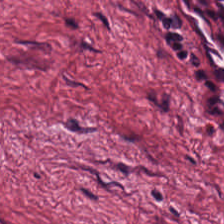Hematoxylin and eosin; 224×224 px patch; 0.5 µm per pixel. The tissue is desmoplastic stroma.
